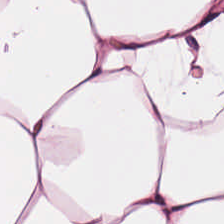Stain: H&E-stained tissue section.
Predominant tissue: fat tissue.
